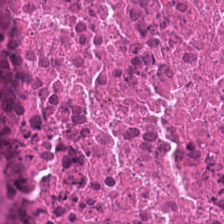Hematoxylin and eosin; WSI patch — Debris.
